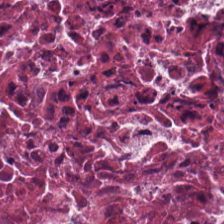H&E-stained tissue section. Predominantly necrotic debris.
